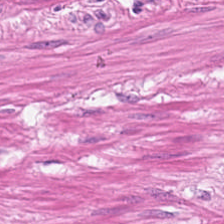Stain: H&E stain.
Tissue class: smooth muscle.
